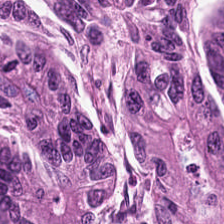H&E-stained tissue section. Showing colorectal adenocarcinoma.
